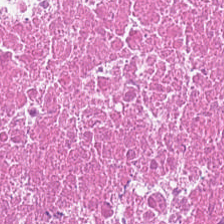WSI patch · hematoxylin and eosin — {"tissue_type": "debris"}
